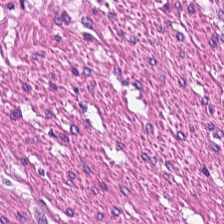Whole-slide-image patch; hematoxylin and eosin; formalin-fixed paraffin-embedded section.
The classification is smooth muscle.
